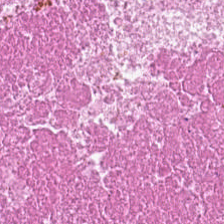Stain: H&E-stained tissue section.
Tile size: 224×224 pixel tile.
Tissue: cellular debris.
